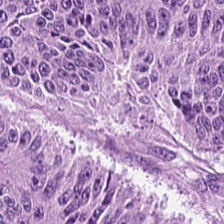Tissue = colorectal adenocarcinoma epithelium.
